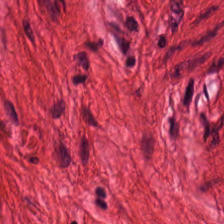Hematoxylin-and-eosin stained section — Predominantly smooth muscle.
